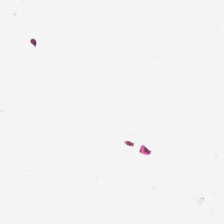H&E stain. Histology — background.
